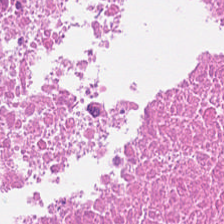Hematoxylin and eosin. The tissue type is necrotic debris.
